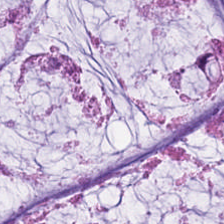Q: What type of tissue is this?
A: It is extracellular mucin.
